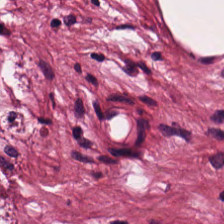H&E.
Predominant tissue = tumor-associated stroma.
